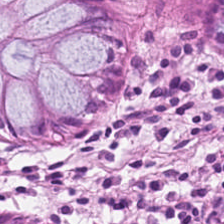H&E-stained tissue section — The tissue class is benign colonic mucosa.
